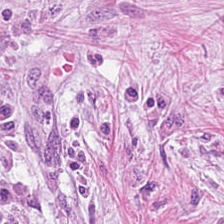Stain: H&E.
Acquisition: WSI patch.
Tissue type: desmoplastic stroma.
